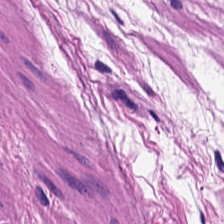224×224 px tile · H&E — Smooth-muscle tissue.
